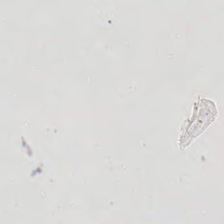20× equivalent magnification · hematoxylin and eosin — Empty field — empty background.
